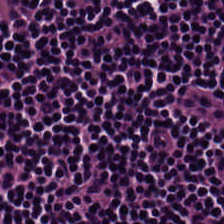224×224 px tile · 20× equivalent magnification · H&E-stained tissue section. Classification: lymphocytic infiltrate.
